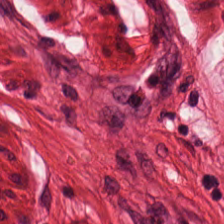Hematoxylin and eosin. Tissue type = smooth muscle.
